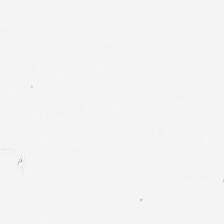Hematoxylin-and-eosin stained section. Histology → background (no tissue).
